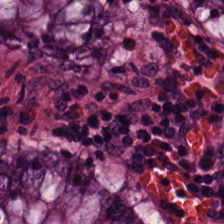Hematoxylin-and-eosin stained section. Normal colonic mucosa.
